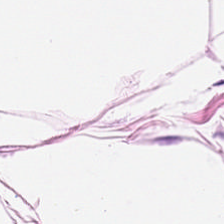Hematoxylin and eosin. 224×224 px patch.
Predominantly adipose.
